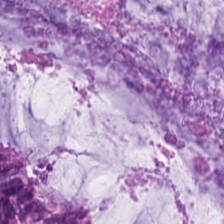Stain: hematoxylin-and-eosin stained section.
Tissue class: extracellular mucin.
